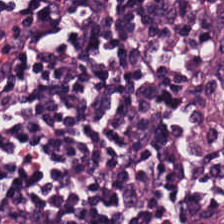Hematoxylin and eosin · 20× equivalent magnification — Predominant tissue = lymphocytic infiltrate.
